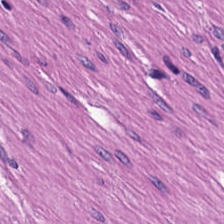Hematoxylin-and-eosin stained section. The classification is muscularis.
